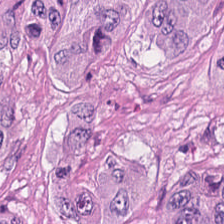Stain: H&E.
Classification: colorectal adenocarcinoma epithelium.
